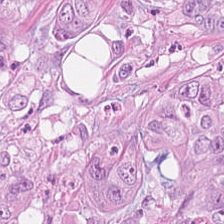H&E. FFPE tissue section.
Q: Classify this patch.
A: This is adenocarcinoma.
